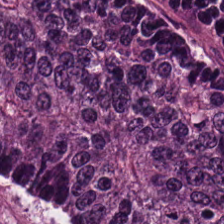Stain: H&E stain.
Preparation: FFPE tissue section.
Classification: malignant epithelium.
